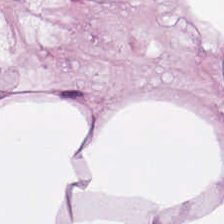Brightfield; hematoxylin and eosin. The predominant tissue is adipocytes.
